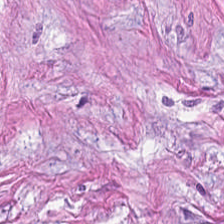H&E-stained tissue section — Impression — cancer-associated stroma.
